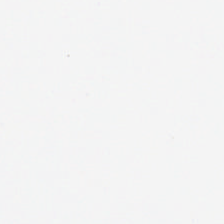Formalin-fixed paraffin-embedded section · H&E — Impression — empty background.
